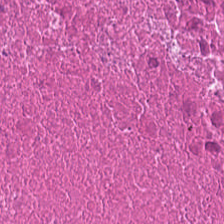Q: What tissue type is shown here?
A: Debris.
